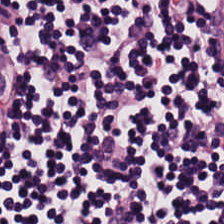{"tissue_type": "lymphoid infiltrate"}
